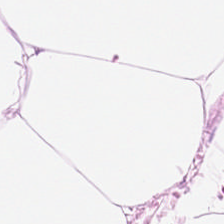The predominant tissue is adipose tissue.
